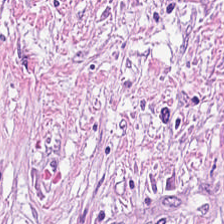WSI patch; H&E. Predominant tissue: cancer-associated stroma.
